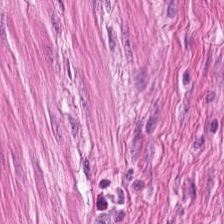Stain: hematoxylin and eosin.
Classification: muscularis.
